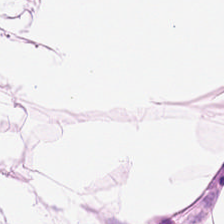Stain: hematoxylin-and-eosin stained section.
Predominant tissue: adipocytes.
